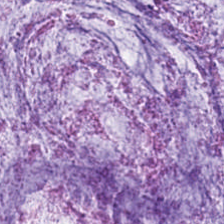Hematoxylin and eosin — Q: What is shown in this field?
A: This is mucus.
